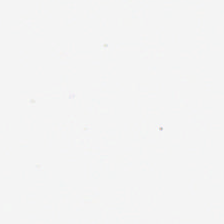Stain: hematoxylin and eosin.
Field content: background (no tissue).
